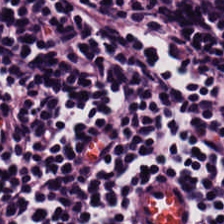H&E-stained tissue section — The tissue here is lymphocyte aggregate.
